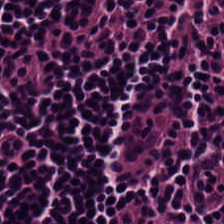Formalin-fixed paraffin-embedded section · hematoxylin and eosin. This field is lymphocyte aggregate.
